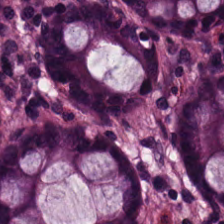FFPE. Hematoxylin-and-eosin stained section.
Tissue type — normal colonic mucosa.
